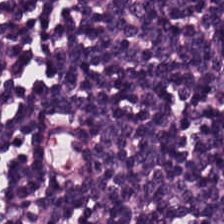Q: Classify this patch.
A: Lymphocytic infiltrate.
